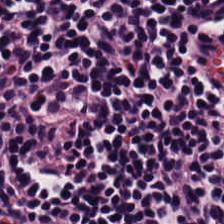Hematoxylin and eosin. This field is lymphoid infiltrate.
